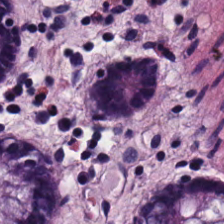Tissue — non-neoplastic colon mucosa.
